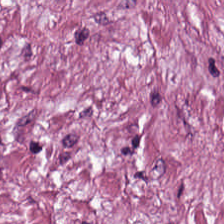Stain: H&E-stained tissue section.
Classification: tumor-associated stroma.
